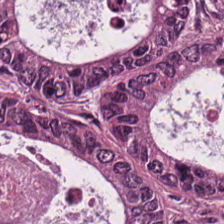H&E-stained tissue section — {"tissue_type": "colorectal adenocarcinoma"}
